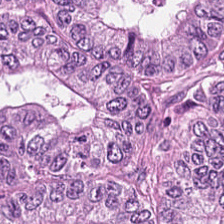H&E stain. Tissue type — colorectal adenocarcinoma.
